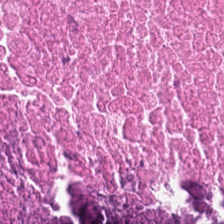Hematoxylin-and-eosin stained section. The tissue here is necrotic debris.
